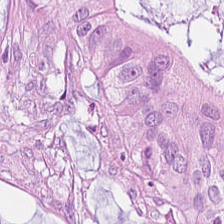Hematoxylin and eosin.
The tissue here is malignant epithelium.
